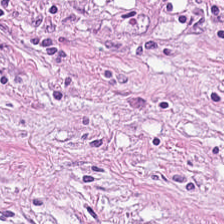Q: What is shown here?
A: Cancer-associated stroma.
